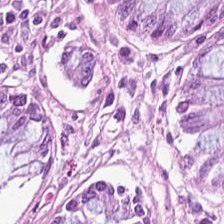H&E. Histology → non-neoplastic colon mucosa.
